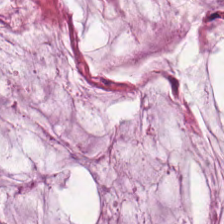H&E stain.
The tissue here is mucin.
